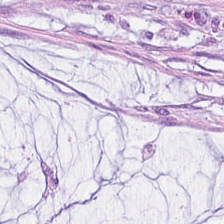Tissue class — extracellular mucin.
